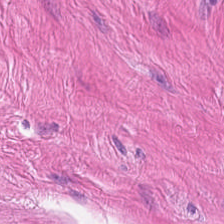H&E-stained tissue section. Predominant tissue — smooth-muscle tissue.
